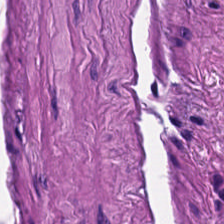H&E-stained tissue section — Finding → smooth muscle.
